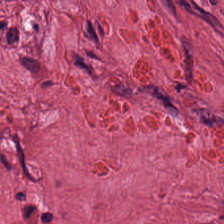Q: Classify this patch.
A: This is desmoplastic stroma.
